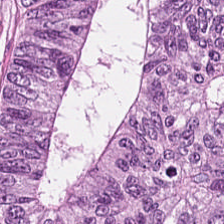224×224 px patch; 0.5 microns per pixel; hematoxylin-and-eosin stained section.
Malignant epithelium.
